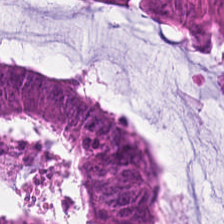Brightfield; hematoxylin and eosin; 0.5 µm/px.
Q: What does this patch show?
A: The field shows colorectal adenocarcinoma epithelium.
